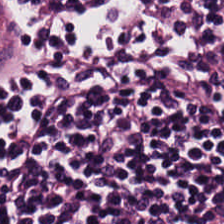Hematoxylin and eosin.
Impression — lymphocytes.
